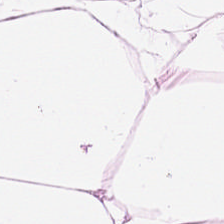H&E stain. Impression → adipose tissue.
